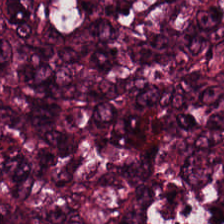Tissue type — tumor epithelium.
